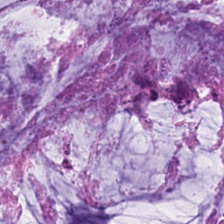Stain: H&E-stained tissue section.
Acquisition: brightfield.
Tile size: 224×224 px patch.
Tissue class: mucin.
